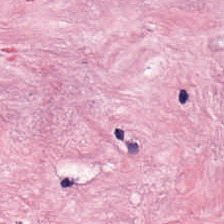WSI patch; 224×224 pixel tile; hematoxylin-and-eosin stained section. Tissue class — desmoplastic stroma.
